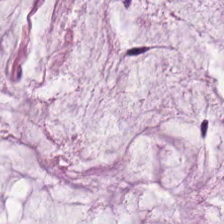Hematoxylin-and-eosin stained section. 0.5 µm per pixel. The tissue is mucin.
